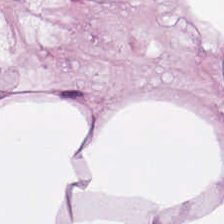20× equivalent magnification; H&E stain.
Adipose tissue.
